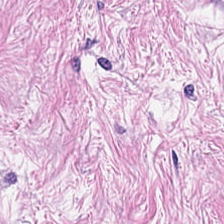H&E; FFPE tissue section. Predominantly tumor stroma.
